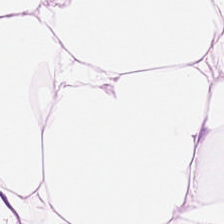H&E.
The tissue class is adipose tissue.
